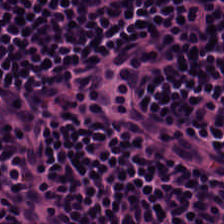H&E stain — Showing lymphoid infiltrate.
